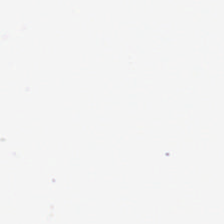Q: What does this patch show?
A: Empty background.
